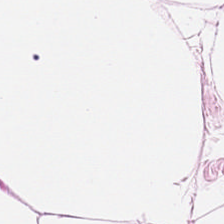Finding → adipose.
